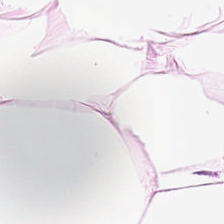Hematoxylin and eosin.
The tissue here is adipocytes.
